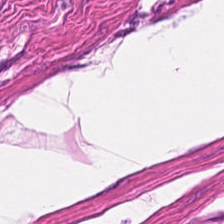Stain: hematoxylin and eosin.
Tissue: smooth-muscle tissue.
